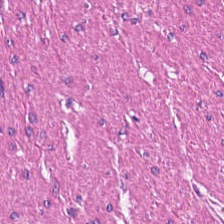Brightfield. H&E. Predominant tissue — smooth-muscle tissue.
